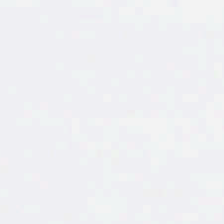H&E · 224×224 px tile — This field is background (no tissue).
